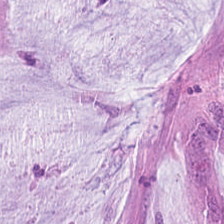Formalin-fixed paraffin-embedded section; H&E-stained tissue section.
Histology — mucus.
